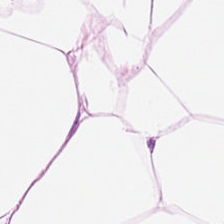H&E-stained section; the field shows adipose tissue.
